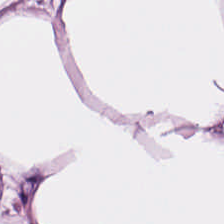0.5 µm/px. H&E. Brightfield microscopy. Predominant tissue — adipose tissue.
